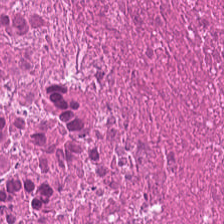Hematoxylin-and-eosin stained section — The predominant tissue is necrotic debris.
